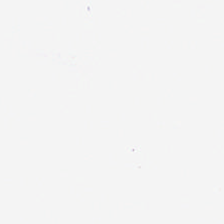Stain: hematoxylin and eosin.
Classification: background (no tissue).
